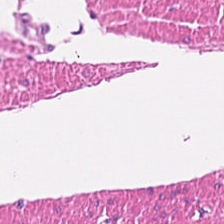Hematoxylin-and-eosin stained section.
The classification is smooth-muscle tissue.
